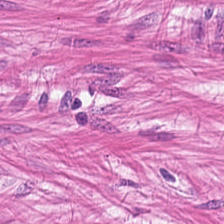H&E-stained tissue section · formalin-fixed paraffin-embedded section. The tissue is smooth-muscle tissue.
